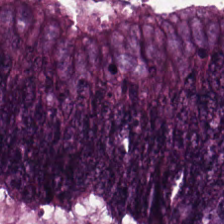H&E stain; formalin-fixed paraffin-embedded section. The classification is tumor epithelium.
